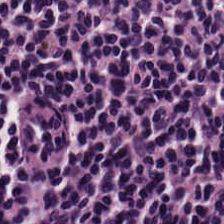H&E stain · brightfield microscopy — Predominantly lymphoid infiltrate.
